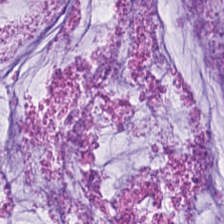Hematoxylin-and-eosin stained section · 224×224 px patch. The tissue is mucus.
